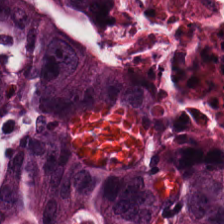FFPE tissue section · 0.5 microns per pixel · H&E-stained tissue section.
Tissue = malignant epithelium.
